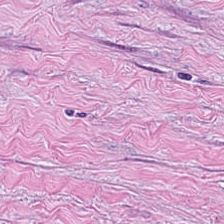Showing cancer-associated stroma.
